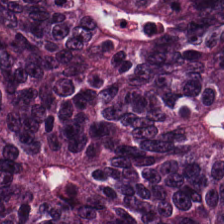This field is tumor epithelium.
